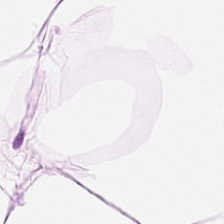H&E.
Showing adipose tissue.
